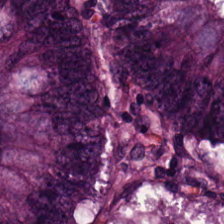H&E — {"tissue_type": "colorectal adenocarcinoma"}
